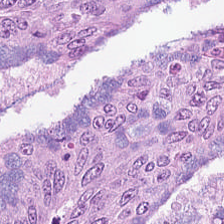224×224 px tile. Hematoxylin-and-eosin stained section. Predominant tissue = malignant epithelium.
